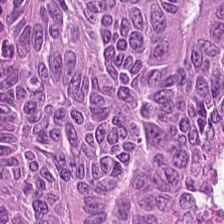H&E stain.
Impression — adenocarcinoma.
